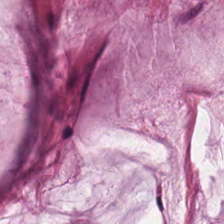Q: What tissue type is shown here?
A: This is mucus.
